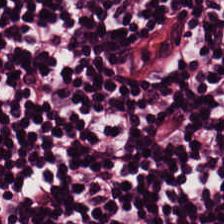Hematoxylin and eosin; WSI patch. The tissue class is lymphocyte aggregate.
